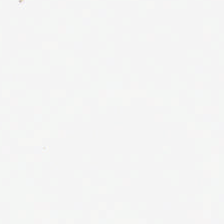Hematoxylin and eosin.
Finding → background (no tissue).
